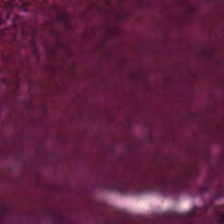Hematoxylin-and-eosin stained section — Q: Classify this patch.
A: It is debris.
